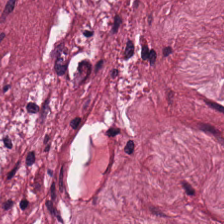FFPE. H&E — This patch shows tumor-associated stroma.
